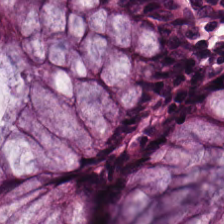Hematoxylin-and-eosin stained section.
The tissue here is non-neoplastic colon mucosa.
